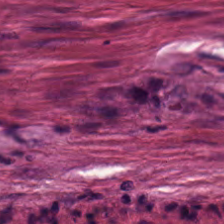Finding — cancer-associated stroma.
